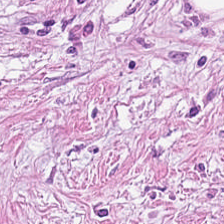Stain: hematoxylin and eosin.
Tile size: 224×224 pixel tile.
Resolution: 0.5 microns per pixel.
Tissue class: tumor-associated stroma.
